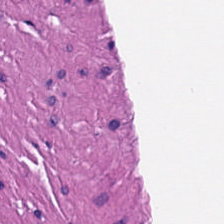This patch shows smooth-muscle tissue.
